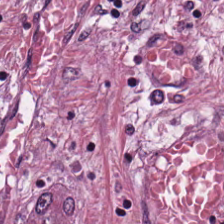Formalin-fixed paraffin-embedded section · hematoxylin-and-eosin stained section. Predominantly tumor-associated stroma.
